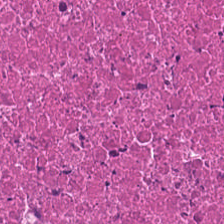Stain: hematoxylin and eosin.
Resolution: 0.5 microns per pixel.
Classification: debris.
